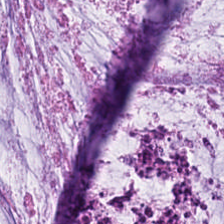The tissue here is extracellular mucin.
